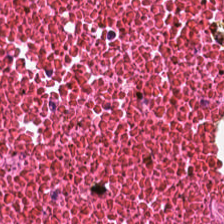Hematoxylin-and-eosin stained section · formalin-fixed paraffin-embedded section. Tissue class — debris.
